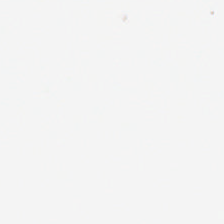The content is no tissue.
